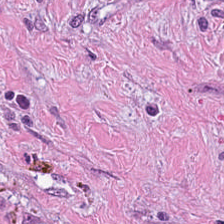H&E-stained tissue section — Q: Classify this patch.
A: The field shows tumor-associated stroma.
